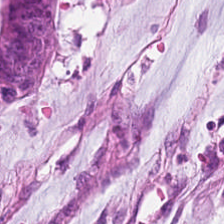H&E stain; formalin-fixed paraffin-embedded section.
Predominant tissue = extracellular mucin.
